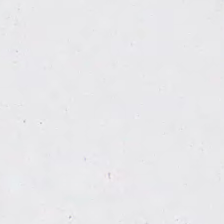Stain: H&E.
Field content: background.
